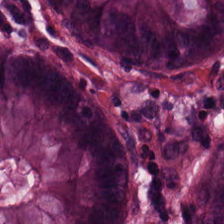Stain: hematoxylin and eosin.
Tissue: normal colon mucosa.
